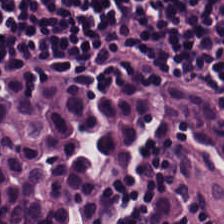Hematoxylin-and-eosin stained section. {"tissue_type": "lymphoid infiltrate"}
